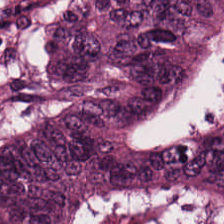0.5 µm/px. 224×224 pixel tile. Hematoxylin and eosin.
Predominantly colorectal adenocarcinoma.
